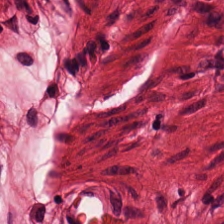Hematoxylin-and-eosin stained section · 224×224 pixel tile.
Q: What tissue is shown?
A: The field shows smooth muscle.
